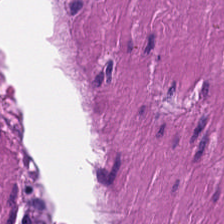H&E-stained tissue section — Finding — smooth muscle.
